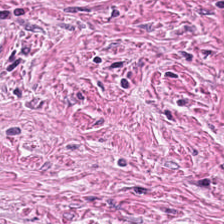H&E stain — Predominant tissue — tumor-associated stroma.
